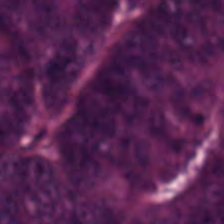The tissue here is malignant epithelium.
